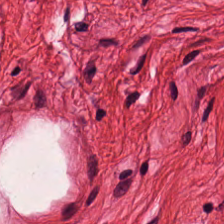224×224 pixel tile; hematoxylin-and-eosin stained section; FFPE — Impression — smooth muscle.
